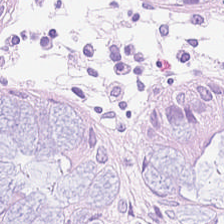WSI patch; H&E — Predominantly benign colonic mucosa.
